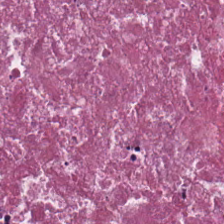H&E-stained tissue section; 224×224 pixel tile.
Tissue class: cellular debris.
